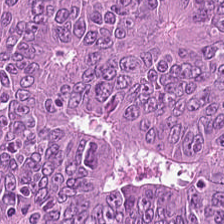H&E — malignant epithelium.
